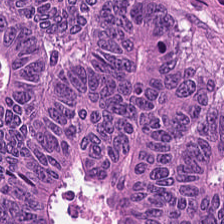0.5 microns per pixel. H&E — Finding → malignant epithelium.
